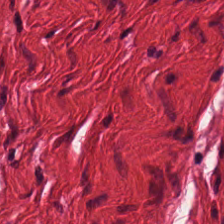H&E-stained tissue section. Q: What tissue type is shown here?
A: It is smooth-muscle tissue.
